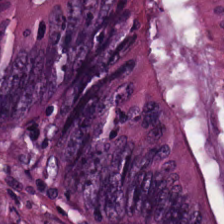Brightfield microscopy · H&E stain · 0.5 µm/px. Predominantly tumor epithelium.
